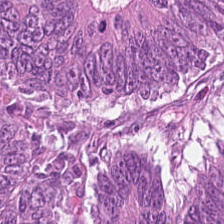H&E-stained tissue section. The predominant tissue is malignant epithelium.
